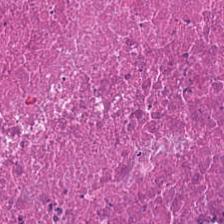Hematoxylin and eosin.
Predominantly debris.
